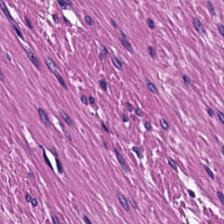H&E stain. Showing smooth muscle.
